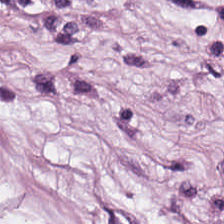Formalin-fixed paraffin-embedded section; hematoxylin and eosin; 224×224 pixel tile.
The predominant tissue is adipocytes.
